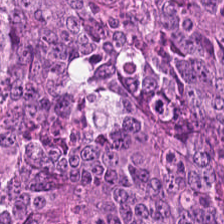H&E. The tissue here is tumor epithelium.
